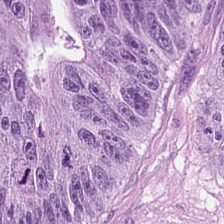Classification = colorectal adenocarcinoma.
